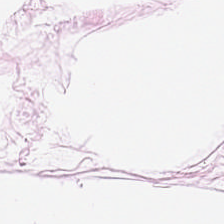Hematoxylin and eosin. This field is adipocytes.
